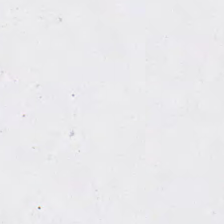Formalin-fixed paraffin-embedded section · H&E. Impression → background.
